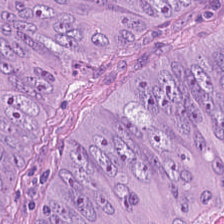H&E-stained tissue section — Q: What tissue type is shown here?
A: It is adenocarcinoma.
